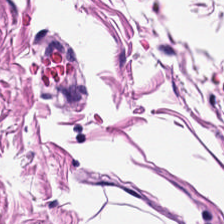H&E stain — Smooth muscle.
